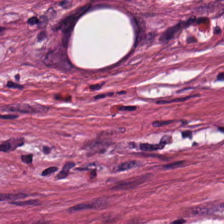224×224 px patch; 0.5 µm/px; hematoxylin and eosin. This field is cancer-associated stroma.
